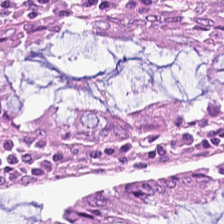Brightfield. H&E-stained tissue section.
Histology — normal colon mucosa.
